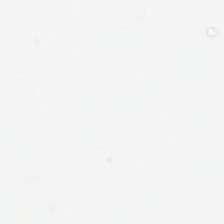{"content": "background (no tissue)"}
